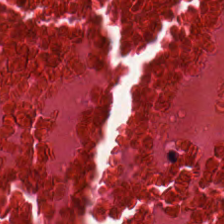Stain: hematoxylin-and-eosin stained section.
Tile size: 224×224 px patch.
Tissue: necrotic debris.
